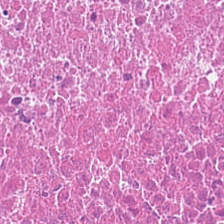WSI patch · H&E · 0.5 µm/px.
This field is cellular debris.
